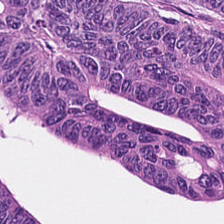Stain: H&E stain.
Tissue: colorectal adenocarcinoma epithelium.
